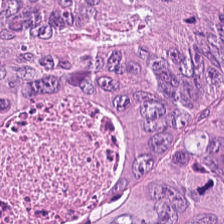H&E stain — Q: What tissue type is shown here?
A: Adenocarcinoma.
